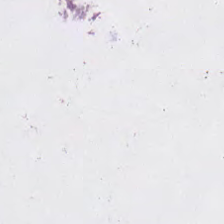H&E stain. 224×224 px patch — Q: Classify this patch.
A: This is no tissue.
